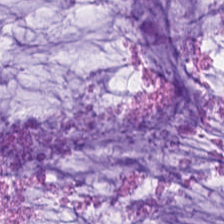H&E-stained tissue section.
Tissue = extracellular mucin.
